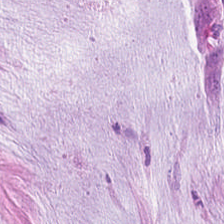H&E stain. The predominant tissue is extracellular mucin.
